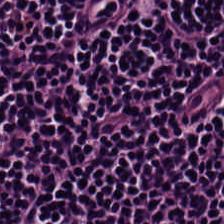Hematoxylin and eosin; FFPE tissue section. Q: Classify this patch.
A: It is lymphocytes.
